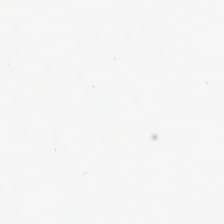WSI patch · hematoxylin-and-eosin stained section.
Content — background.
